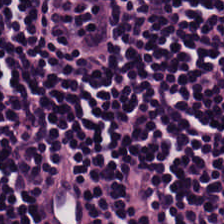H&E stain.
Finding → lymphocytic infiltrate.
